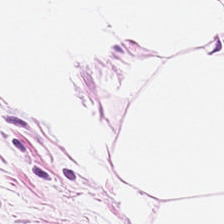H&E. Showing fat tissue.
